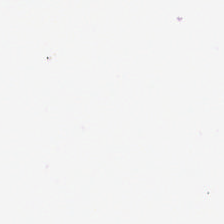H&E stain. Q: Classify this patch.
A: It is background.
